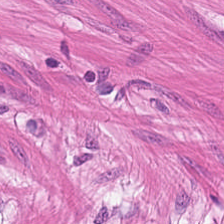The tissue here is smooth muscle.
